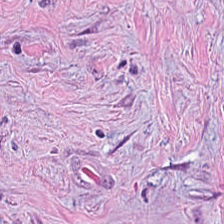H&E-stained tissue section. FFPE. Q: What tissue type is shown here?
A: It is desmoplastic stroma.
